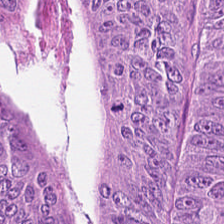Tissue class = malignant epithelium.
